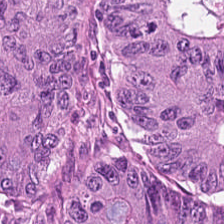H&E stain; FFPE — The predominant tissue is colorectal adenocarcinoma.
